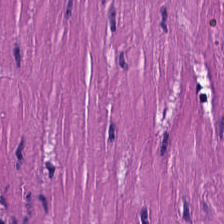Stain: hematoxylin and eosin.
Tissue: smooth-muscle tissue.
